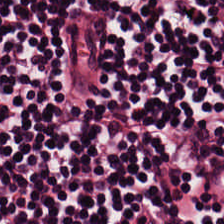0.5 µm/px · brightfield · hematoxylin and eosin.
Showing lymphoid infiltrate.
